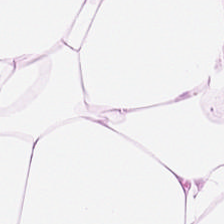224×224 px tile. Hematoxylin-and-eosin stained section.
This patch shows adipose.
